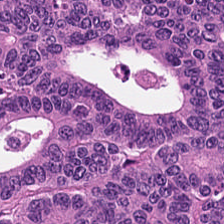0.5 µm/px; H&E-stained tissue section. Tissue class: tumor epithelium.
